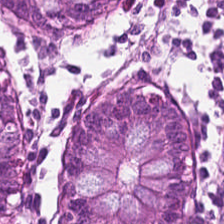Hematoxylin-and-eosin stained section; WSI patch. Histology — normal colonic mucosa.
